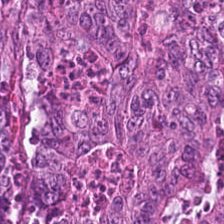Hematoxylin-and-eosin stained section. Q: What tissue type is shown here?
A: The field shows colorectal adenocarcinoma.
